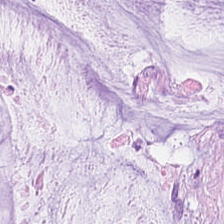Hematoxylin-and-eosin stained section.
Showing extracellular mucin.
